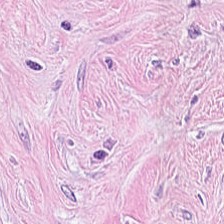Stain: hematoxylin-and-eosin stained section.
Tile size: 224×224 px tile.
Tissue: desmoplastic stroma.
